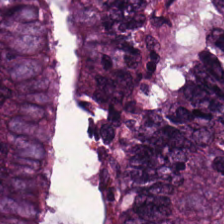H&E · 0.5 µm/px — Q: Classify this patch.
A: It is malignant epithelium.
